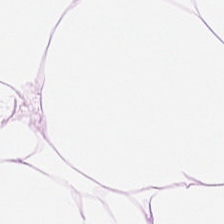Predominant tissue = adipocytes.
